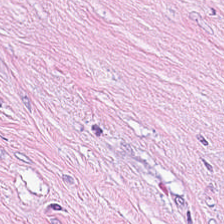FFPE; 0.5 µm/px; hematoxylin and eosin — The tissue class is tumor-associated stroma.
